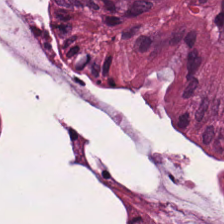Hematoxylin and eosin — Q: What is the predominant tissue type?
A: Non-neoplastic colon mucosa.
